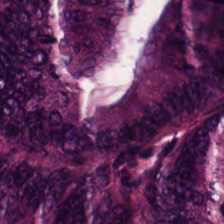20× equivalent magnification; hematoxylin-and-eosin stained section — Q: What tissue type is shown here?
A: It is malignant epithelium.
